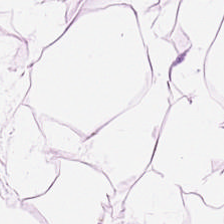H&E-stained tissue section — Predominant tissue: adipose tissue.
